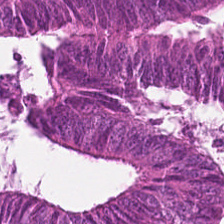FFPE · hematoxylin and eosin · 0.5 microns per pixel. Predominantly tumor epithelium.
